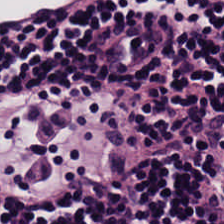Histology → lymphocytic infiltrate.
